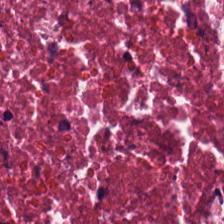H&E stain · formalin-fixed paraffin-embedded section. Impression → debris.
